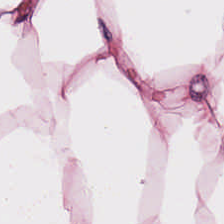Finding → adipose.
